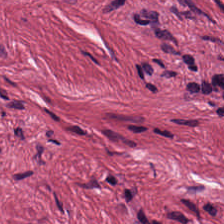H&E-stained tissue section · WSI patch — The predominant tissue is desmoplastic stroma.
